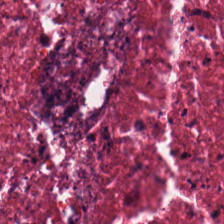H&E stain. Tissue: debris.
